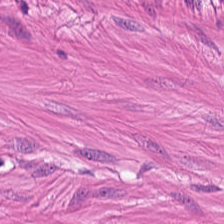FFPE · 224×224 px patch · H&E stain — Showing smooth muscle.
